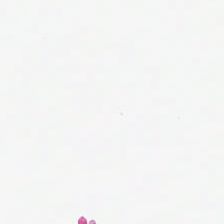Hematoxylin-and-eosin stained section — Field content: empty background.
